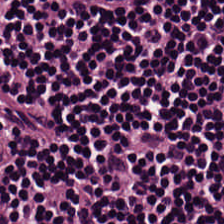Stain: H&E.
Tissue class: lymphocytes.
